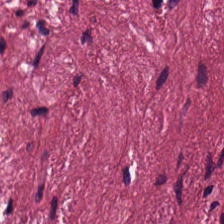Stain: H&E.
Preparation: FFPE tissue section.
Resolution: 0.5 µm/px.
Tissue type: tumor-associated stroma.
